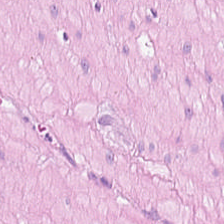H&E-stained tissue section — The classification is muscularis.
